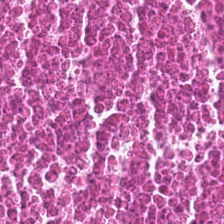FFPE; hematoxylin-and-eosin stained section — Q: What type of tissue is this?
A: It is cellular debris.
